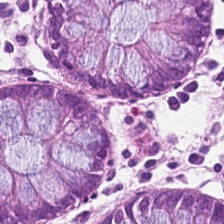Stain: hematoxylin and eosin.
Acquisition: whole-slide-image patch.
Tile size: 224×224 px patch.
Tissue type: normal colon mucosa.
